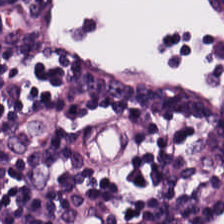224×224 pixel tile · FFPE · hematoxylin and eosin.
Q: What tissue type is shown here?
A: The field shows lymphocytes.
